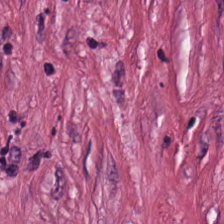The tissue here is tumor stroma.
